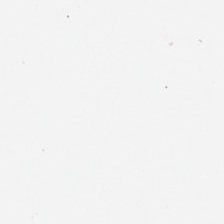H&E stain. Field content — no tissue.
